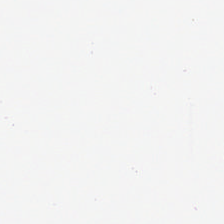H&E-stained tissue section · brightfield · 20× equivalent magnification.
Tissue type = fat tissue.
